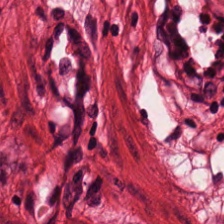H&E stain — Tissue class = smooth muscle.
